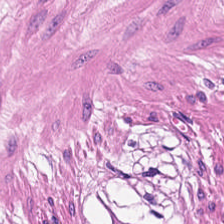Hematoxylin-and-eosin stained section.
Classification: smooth muscle.
